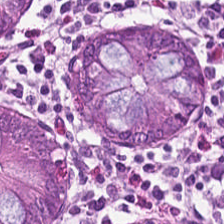Predominantly benign colonic mucosa.
